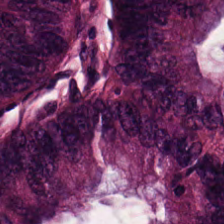H&E-stained tissue section — Predominantly tumor epithelium.
